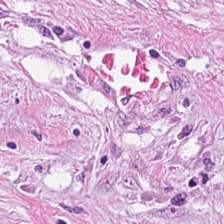0.5 µm per pixel; 224×224 pixel tile; hematoxylin and eosin — Q: Classify this patch.
A: It is tumor stroma.
